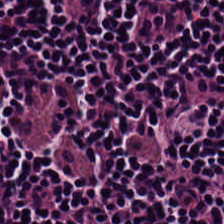Hematoxylin and eosin. Q: What is shown in this field?
A: Lymphocytic infiltrate.
